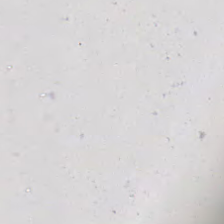H&E. This field is background (no tissue).
